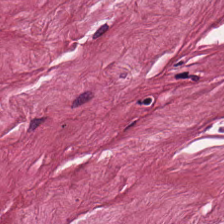H&E stain; brightfield.
The tissue type is cancer-associated stroma.
